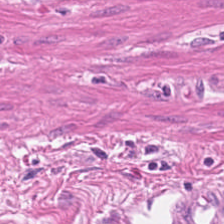H&E — Predominantly smooth muscle.
